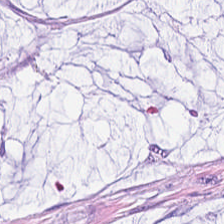Predominantly mucus.
